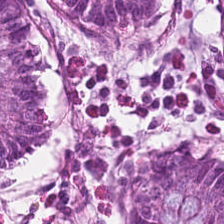H&E patch showing non-neoplastic colon mucosa.
